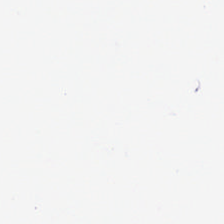Finding — background.
